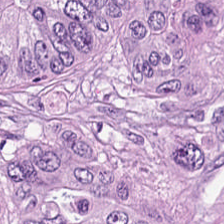Tissue type: malignant epithelium.
